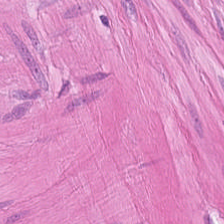Hematoxylin and eosin — This patch shows muscularis.
